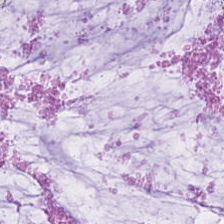Brightfield microscopy. H&E.
Histology — mucus.
